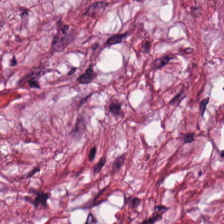WSI patch · FFPE · H&E stain — Tissue type = desmoplastic stroma.
